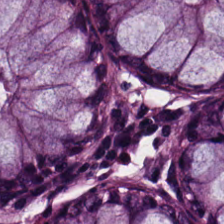H&E-stained tissue section; 20× equivalent magnification. Impression → normal colon mucosa.
